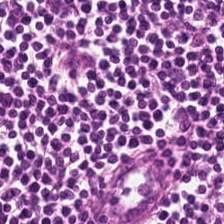Finding → lymphocytic infiltrate.
